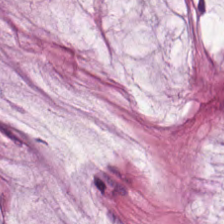H&E stain — Q: What is the predominant tissue type?
A: Mucus.
